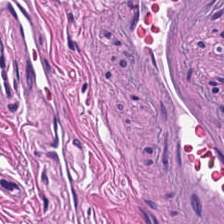Stain: H&E stain.
Tissue type: smooth-muscle tissue.
